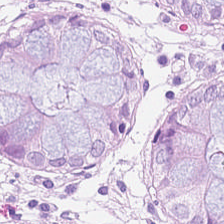Stain: H&E-stained tissue section.
Tissue type: benign colonic mucosa.
